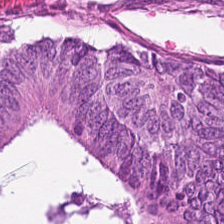0.5 µm per pixel · hematoxylin-and-eosin stained section — The tissue type is adenocarcinoma.
